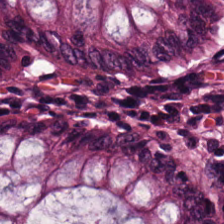Hematoxylin-and-eosin stained section. Tissue type = normal colon mucosa.
